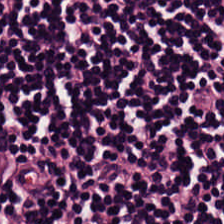H&E stain — Classification — lymphoid infiltrate.
